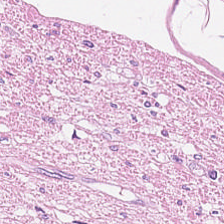H&E. This field is muscularis.
